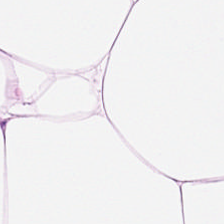FFPE · hematoxylin-and-eosin stained section — Adipose.
